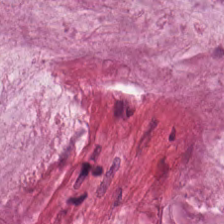Hematoxylin-and-eosin stained section. This field is extracellular mucin.
